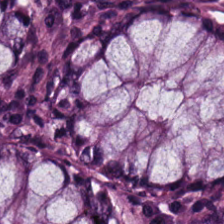H&E.
This field is normal colon mucosa.
